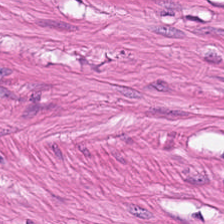Tissue class: muscularis.
